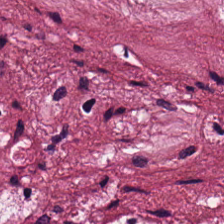Hematoxylin-and-eosin stained section. Whole-slide-image patch. 224×224 pixel tile. {"tissue_type": "desmoplastic stroma"}
